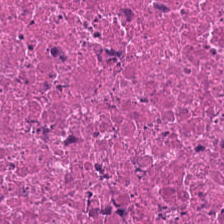Hematoxylin and eosin. Formalin-fixed paraffin-embedded section. Brightfield.
Tissue: cellular debris.
